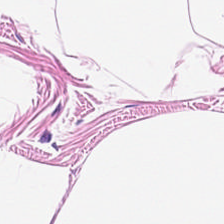Q: What does this patch show?
A: It is adipose.
